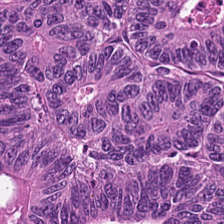H&E — The tissue here is colorectal adenocarcinoma epithelium.
